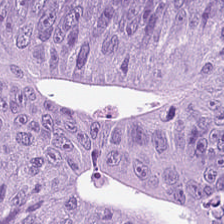Brightfield · hematoxylin and eosin — Impression → adenocarcinoma.
